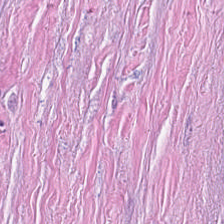WSI patch. H&E-stained tissue section — Predominantly tumor-associated stroma.
